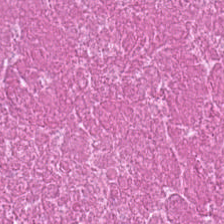Hematoxylin-and-eosin stained section · 0.5 µm/px — Histology — necrotic debris.
